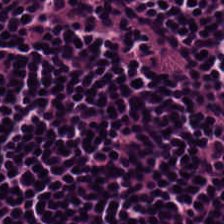224×224 px tile · H&E-stained tissue section · formalin-fixed paraffin-embedded section.
This patch shows lymphocytes.
